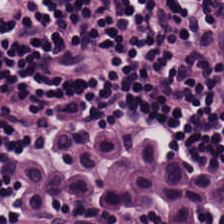Brightfield microscopy; hematoxylin and eosin.
Finding → lymphocyte aggregate.
